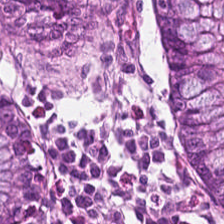H&E · 224×224 pixel tile. Q: What is shown here?
A: It is normal colon mucosa.
